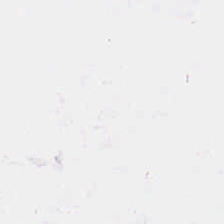Stain: H&E stain.
Field content: empty background.
